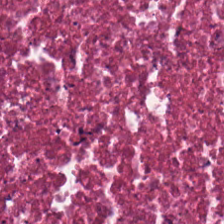H&E.
Q: Identify the tissue.
A: This is necrotic debris.
